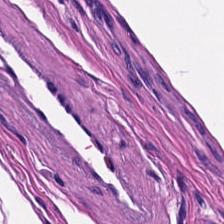H&E. This field is muscularis.
